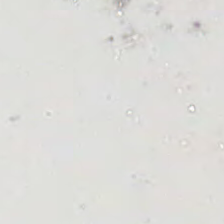H&E.
Content: no tissue.
